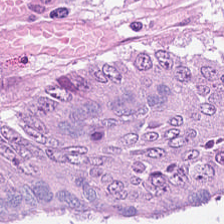Hematoxylin and eosin — The predominant tissue is colorectal adenocarcinoma epithelium.
